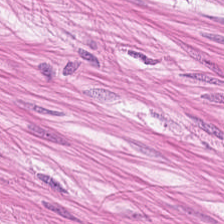FFPE tissue section. Hematoxylin and eosin. WSI patch. Q: Identify the tissue.
A: The field shows smooth muscle.
